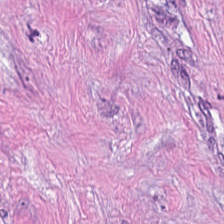H&E-stained section; the field shows cancer-associated stroma.
